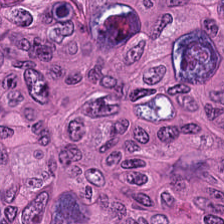0.5 microns per pixel; hematoxylin and eosin.
The classification is colorectal adenocarcinoma.
